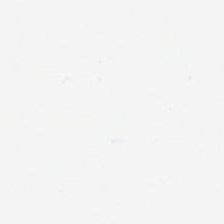H&E-stained tissue section. {"content": "no tissue"}
